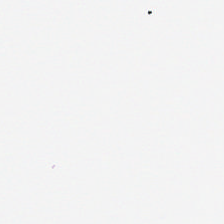Background (no tissue).
